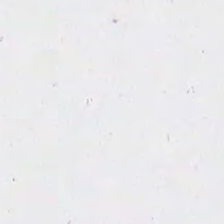224×224 pixel tile; H&E. Classification — background (no tissue).
